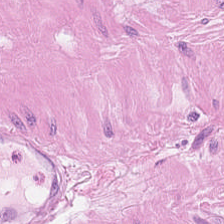Hematoxylin and eosin.
Showing smooth-muscle tissue.
